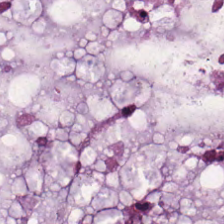Hematoxylin and eosin. The predominant tissue is mucus.
